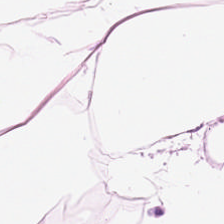FFPE; 20× equivalent magnification; H&E-stained tissue section.
Adipocytes.
